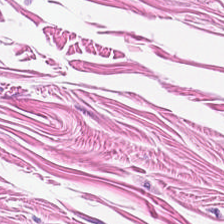Hematoxylin and eosin · 20× equivalent magnification. This field is smooth muscle.
